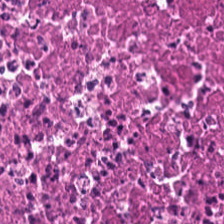H&E patch showing cellular debris.
